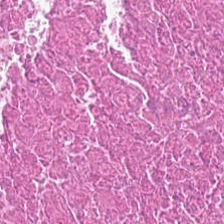H&E stain. {"tissue_type": "necrotic debris"}
